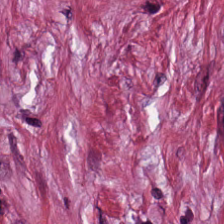Hematoxylin and eosin — The tissue here is tumor-associated stroma.
